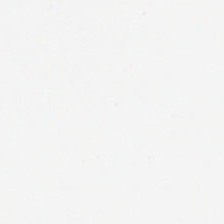Whole-slide-image patch · 0.5 µm/px · hematoxylin-and-eosin stained section. The content is background.
